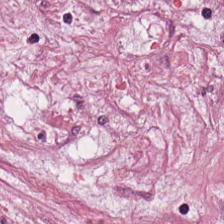Stain: hematoxylin and eosin.
Acquisition: brightfield microscopy.
Tissue class: tumor stroma.
